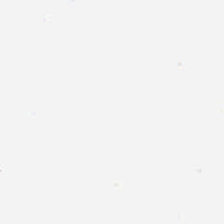0.5 µm/px · H&E · whole-slide-image patch — Finding — empty background.
